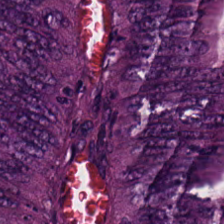224×224 px patch. FFPE. Hematoxylin-and-eosin stained section — Predominantly malignant epithelium.
